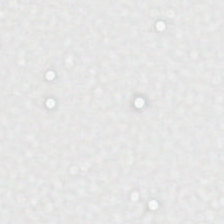Hematoxylin-and-eosin stained section.
{"content": "no tissue"}
